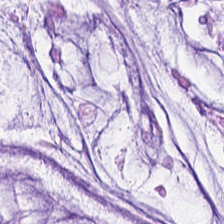Hematoxylin and eosin.
Finding → mucin.
